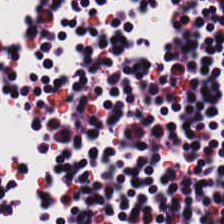H&E; 0.5 µm/px; WSI patch — Q: What is shown in this field?
A: It is lymphocyte aggregate.
